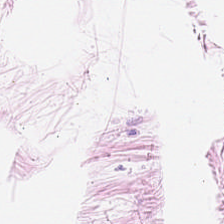Tissue: adipose.
